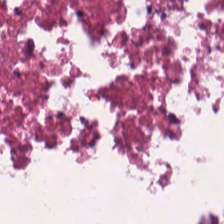FFPE. Hematoxylin and eosin. The tissue here is cellular debris.
